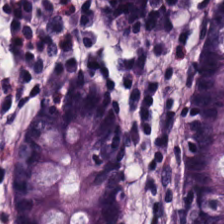Impression — normal colon mucosa.
